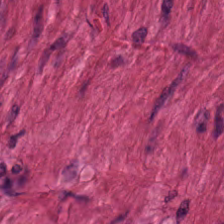This field is smooth-muscle tissue.
